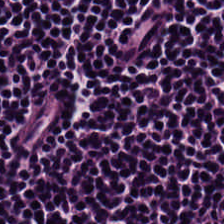H&E. Histology — lymphocyte aggregate.
